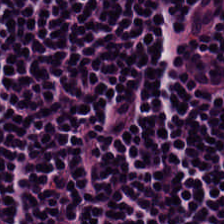H&E-stained tissue section · 224×224 px tile · brightfield. The tissue type is lymphocyte aggregate.
